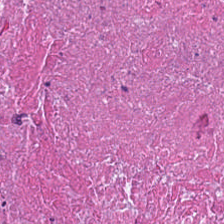0.5 µm per pixel · hematoxylin and eosin. The tissue here is necrotic debris.
